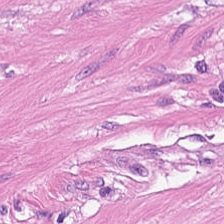H&E-stained tissue section; 20× equivalent magnification. Showing smooth muscle.
